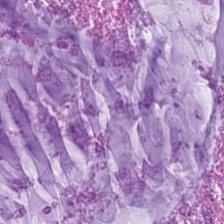Hematoxylin and eosin. Histology → mucin.
